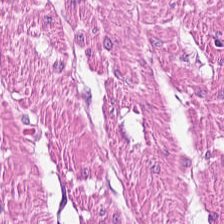Stain: H&E stain.
Predominant tissue: smooth muscle.
